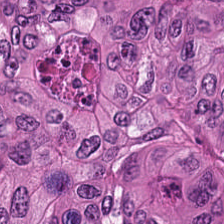H&E.
Impression → colorectal adenocarcinoma epithelium.
